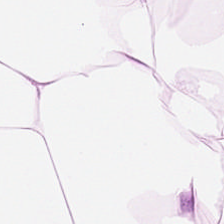H&E. 224×224 px tile — Tissue: adipose tissue.
